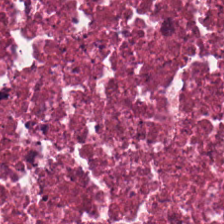H&E. Histology → necrotic debris.
